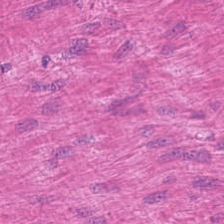Formalin-fixed paraffin-embedded section · brightfield · H&E.
This patch shows smooth-muscle tissue.
